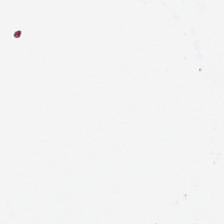H&E stain — Q: What is shown here?
A: It is background.
